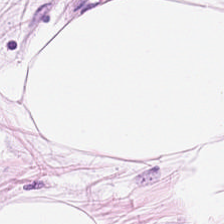H&E stain; brightfield; 224×224 px patch.
Finding → fat tissue.
